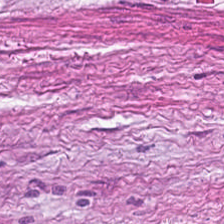H&E-stained tissue section · FFPE · 0.5 microns per pixel — This patch shows tumor stroma.
